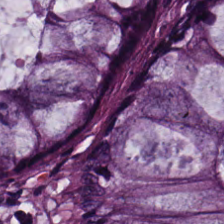H&E — Showing normal colonic mucosa.
